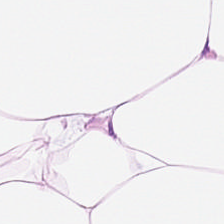Stain: H&E.
Tissue type: adipose tissue.
